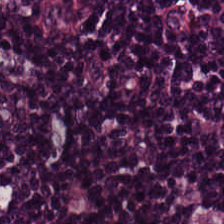H&E stain; 0.5 µm/px. Lymphocytes.
